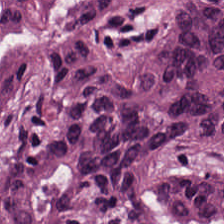Whole-slide-image patch · hematoxylin and eosin.
Tissue type = tumor epithelium.
